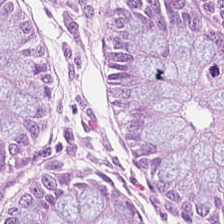224×224 pixel tile; FFPE tissue section; hematoxylin and eosin — Tissue type: benign colonic mucosa.
